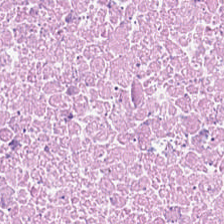H&E-stained tissue section — This field is debris.
